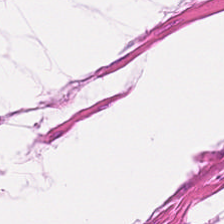H&E-stained section; the field shows muscularis.
